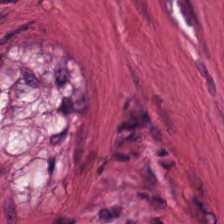Hematoxylin and eosin. Predominantly smooth muscle.
